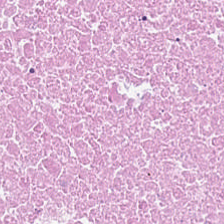H&E — necrotic debris.
